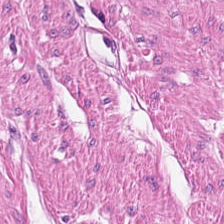20× equivalent magnification · hematoxylin-and-eosin stained section · FFPE tissue section. Muscularis.
